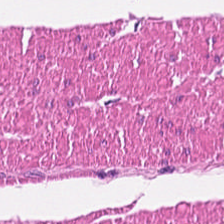H&E stain — Smooth-muscle tissue.
